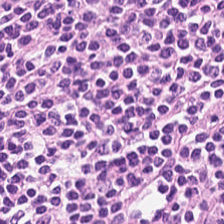H&E-stained tissue section.
The tissue here is lymphocyte aggregate.
